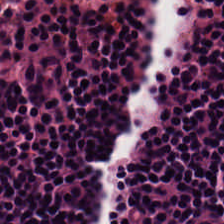H&E stain. Q: What tissue type is shown here?
A: It is lymphocytic infiltrate.
